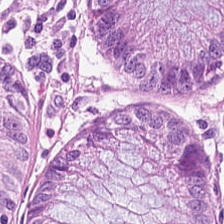224×224 px patch; H&E. Impression → non-neoplastic colon mucosa.
